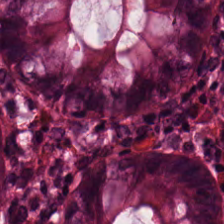H&E.
Impression → benign colonic mucosa.
